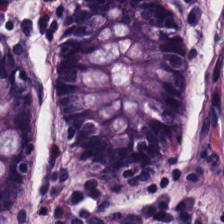H&E stain — Q: What is shown here?
A: This is non-neoplastic colon mucosa.
